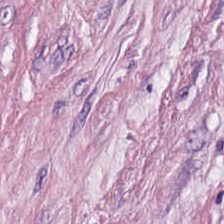FFPE. Hematoxylin and eosin — Predominant tissue: desmoplastic stroma.
